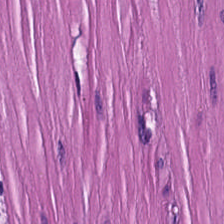224×224 px patch. Hematoxylin and eosin. 0.5 µm/px. Q: What type of tissue is this?
A: It is smooth-muscle tissue.
